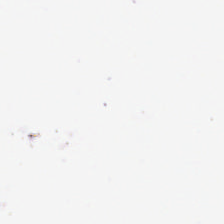224×224 pixel tile; H&E-stained tissue section.
Field content = background.
